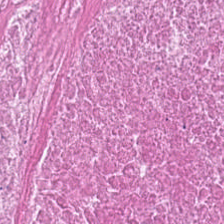H&E. 0.5 µm/px. 224×224 px patch. The tissue type is cellular debris.
